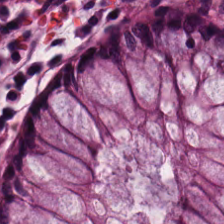Predominant tissue = normal colon mucosa.
